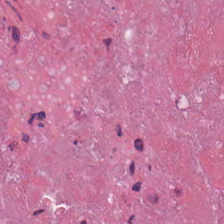Hematoxylin and eosin. Q: What is shown here?
A: Debris.
